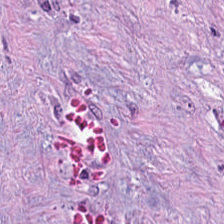Brightfield microscopy; H&E-stained tissue section; 224×224 px patch.
The predominant tissue is tumor-associated stroma.
